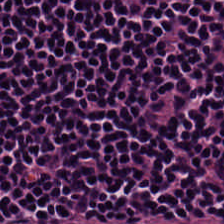Hematoxylin and eosin. Predominant tissue = lymphoid infiltrate.
